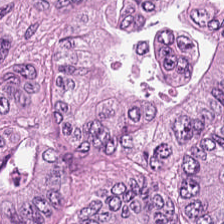Hematoxylin-and-eosin stained section — Q: What tissue type is shown here?
A: This is tumor epithelium.
